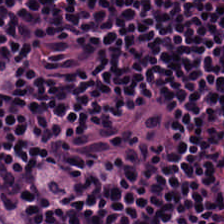WSI patch; hematoxylin and eosin; 0.5 microns per pixel — Tissue class — lymphocyte aggregate.
